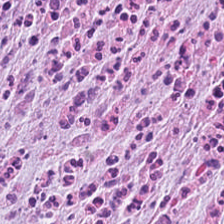H&E-stained tissue section — This patch shows cancer-associated stroma.
